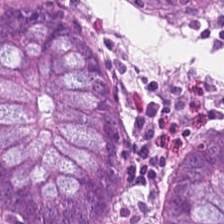Classification = normal colonic mucosa.
